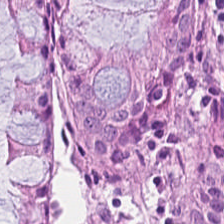Hematoxylin-and-eosin stained section. Q: What does this patch show?
A: This is benign colonic mucosa.
